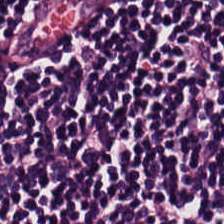H&E. Whole-slide-image patch.
Classification: lymphocyte aggregate.
